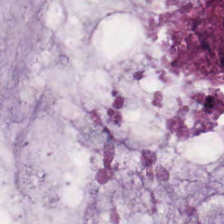FFPE tissue section. Hematoxylin and eosin. 0.5 µm/px — Showing mucin.
